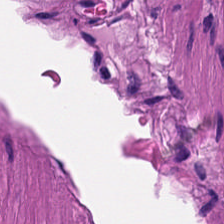Stain: H&E-stained tissue section.
Classification: smooth-muscle tissue.
